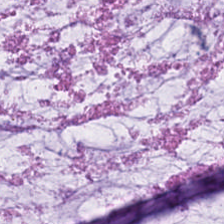Stain: hematoxylin-and-eosin stained section.
Tissue: mucin.
